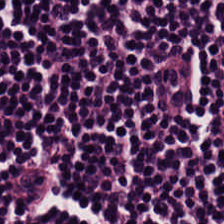0.5 µm per pixel · hematoxylin-and-eosin stained section · brightfield. Lymphocyte aggregate.
